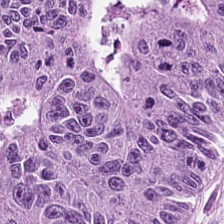{"tissue_type": "tumor epithelium"}
